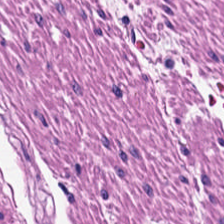Q: What tissue is shown?
A: It is smooth muscle.
